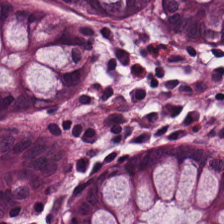Hematoxylin-and-eosin stained section — The predominant tissue is normal colon mucosa.
